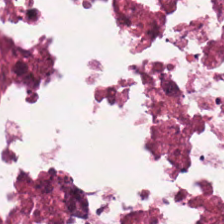Hematoxylin and eosin. 0.5 µm/px — Histology → debris.
